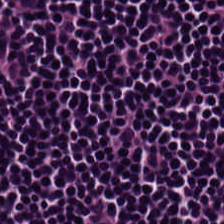Hematoxylin-and-eosin section: lymphocyte aggregate.
